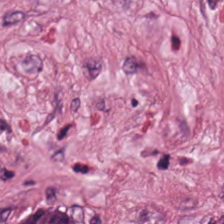H&E — Predominantly desmoplastic stroma.
